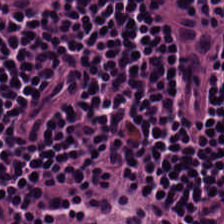H&E-stained tissue section — Predominantly lymphocytes.
